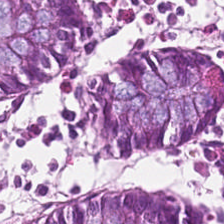224×224 px patch · hematoxylin-and-eosin stained section — Q: What tissue is shown?
A: It is normal colonic mucosa.
